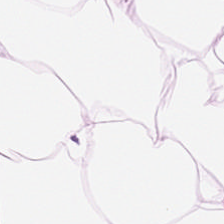Hematoxylin and eosin — Predominantly fat tissue.
